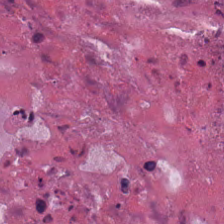H&E stain. Brightfield. Predominantly necrotic debris.
